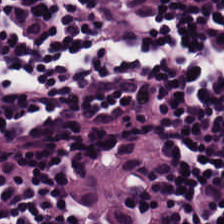H&E stain. Q: What type of tissue is this?
A: It is lymphocytes.
